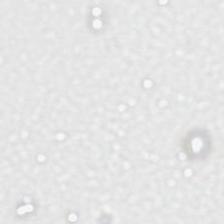Hematoxylin and eosin; brightfield — Finding — empty background.
